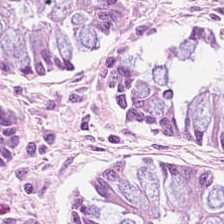Hematoxylin and eosin — Q: What is shown here?
A: It is normal colonic mucosa.
